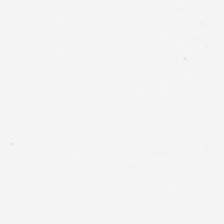H&E-stained tissue section.
Empty background.
